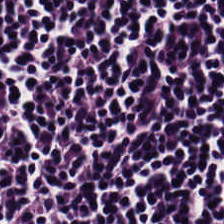H&E-stained tissue section showing lymphocytic infiltrate.
